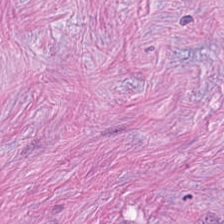H&E-stained tissue section.
This patch shows cancer-associated stroma.
